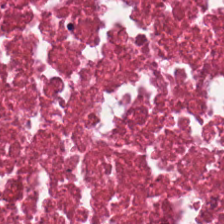H&E stain.
This field is debris.
